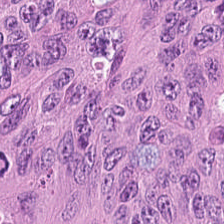H&E-stained tissue section — Tissue class — adenocarcinoma.
